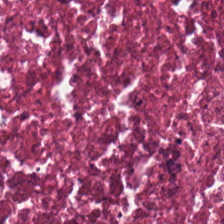H&E. 224×224 px patch. WSI patch. The tissue here is cellular debris.
